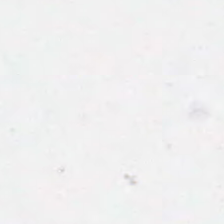Hematoxylin and eosin · 0.5 µm/px.
This field is background (no tissue).
